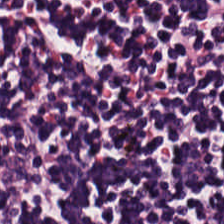Tissue class — lymphoid infiltrate.
